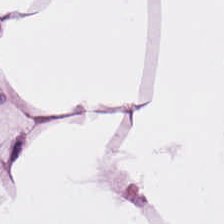Hematoxylin and eosin. 20× equivalent magnification. Whole-slide-image patch. Predominantly adipose tissue.
